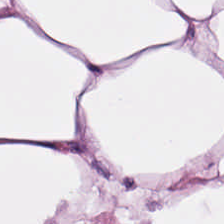Stain: hematoxylin-and-eosin stained section.
Tile size: 224×224 px patch.
Predominant tissue: fat tissue.
